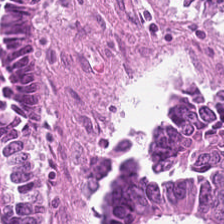Hematoxylin-and-eosin stained section. The predominant tissue is colorectal adenocarcinoma.
